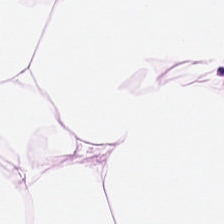H&E-stained tissue section. Showing adipose tissue.
